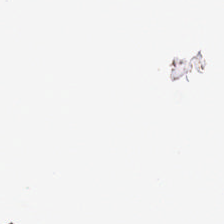H&E.
The classification is background.
